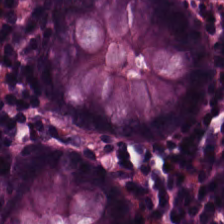H&E-stained tissue section. This field is normal colonic mucosa.
